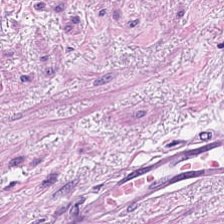Showing muscularis.
